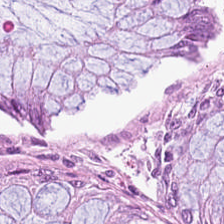H&E stain. WSI patch.
The tissue class is normal colonic mucosa.
